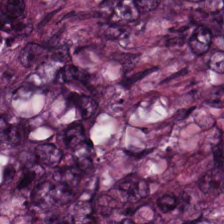{"tissue_type": "colorectal adenocarcinoma epithelium"}
